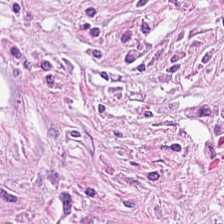Hematoxylin and eosin — The tissue here is tumor-associated stroma.
